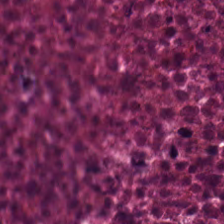Hematoxylin-and-eosin stained section. Formalin-fixed paraffin-embedded section. Brightfield microscopy.
Finding — cellular debris.
